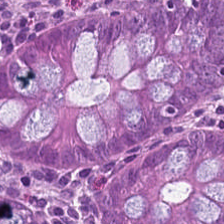H&E.
This patch shows normal colon mucosa.
